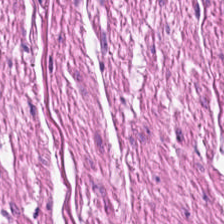H&E-stained tissue section · WSI patch.
Showing smooth muscle.
